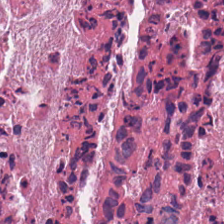The tissue class is necrotic debris.
